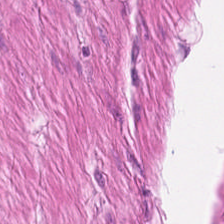H&E-stained tissue section · FFPE tissue section · WSI patch.
Tissue — smooth-muscle tissue.
